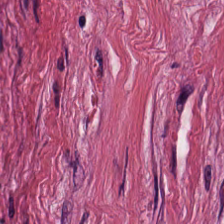H&E.
The tissue here is tumor stroma.
